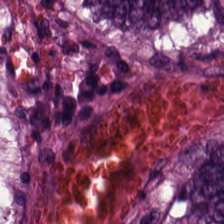H&E-stained tissue section.
The tissue is tumor epithelium.
